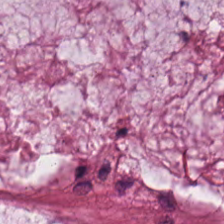Hematoxylin and eosin.
Predominant tissue: extracellular mucin.
